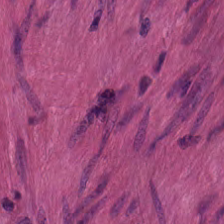Hematoxylin-and-eosin stained section.
Smooth muscle.
